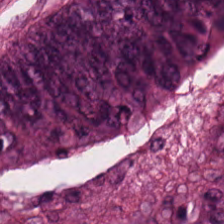H&E — This field is mucus.
